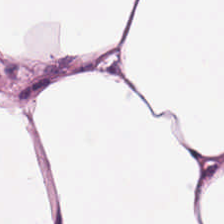224×224 px tile; 20× equivalent magnification; H&E.
Impression — adipose.
